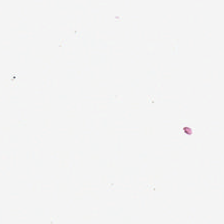H&E stain.
Field content = empty background.
